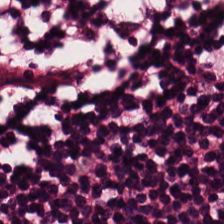Formalin-fixed paraffin-embedded section. 224×224 px tile. H&E-stained tissue section.
Impression — lymphocytes.
